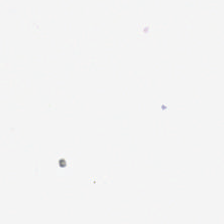Stain: H&E-stained tissue section.
Classification: background.
